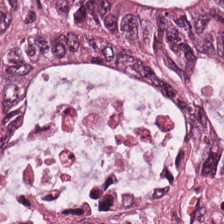Histology — tumor epithelium.
